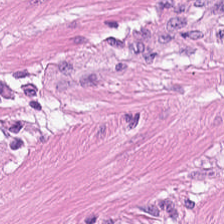H&E-stained tissue section — {"tissue_type": "muscularis"}
